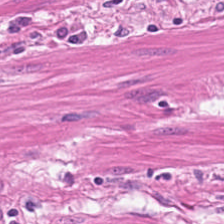0.5 microns per pixel · H&E-stained tissue section — Showing smooth-muscle tissue.
